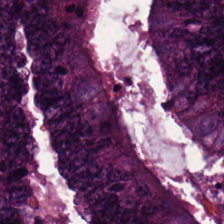0.5 µm/px; hematoxylin-and-eosin stained section.
Tissue — malignant epithelium.
